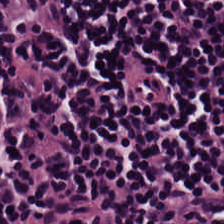Predominant tissue: lymphocytic infiltrate.
